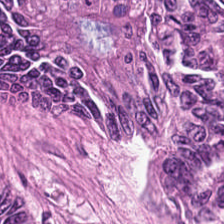Impression → tumor epithelium.
